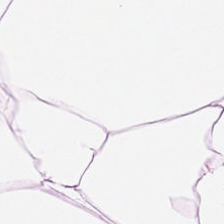Hematoxylin and eosin — Tissue class = adipocytes.
